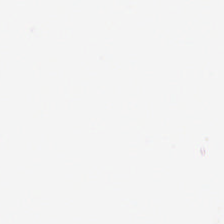H&E stain — This field is background (no tissue).
